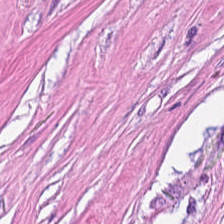WSI patch · 0.5 µm per pixel · H&E stain.
Tissue type: tumor-associated stroma.
